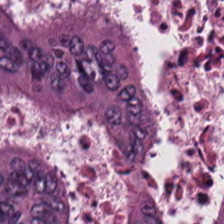H&E-stained tissue section. Impression → colorectal adenocarcinoma.
